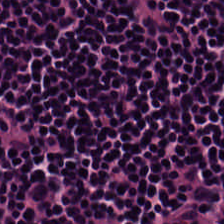FFPE tissue section · H&E stain — Q: Identify the tissue.
A: This is lymphocytic infiltrate.
